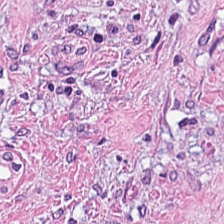H&E.
Classification — tumor-associated stroma.
